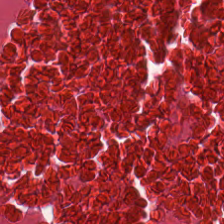Hematoxylin-and-eosin stained section.
Tissue = necrotic debris.
